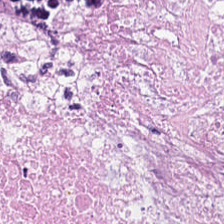Stain: hematoxylin and eosin.
Predominant tissue: necrotic debris.
